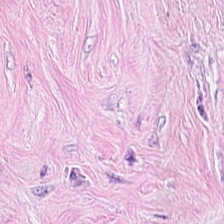This patch shows cancer-associated stroma.
